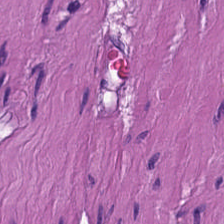H&E-stained tissue section; brightfield microscopy — The predominant tissue is smooth muscle.
